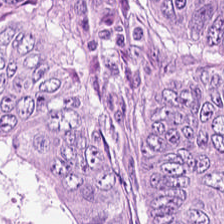Brightfield microscopy · hematoxylin and eosin — Impression — tumor epithelium.
